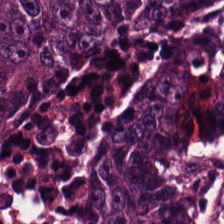Hematoxylin-and-eosin stained section; FFPE tissue section.
Classification: colorectal adenocarcinoma.
